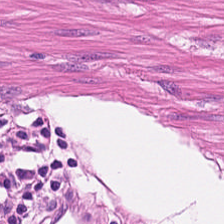H&E patch showing muscularis.
